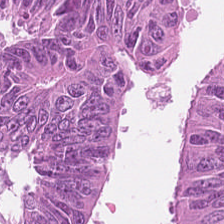WSI patch; H&E stain — The predominant tissue is adenocarcinoma.
